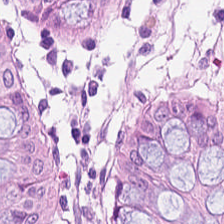Finding → benign colonic mucosa.
